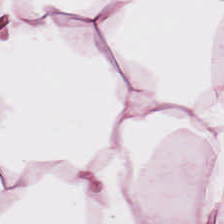Tissue: fat tissue.
